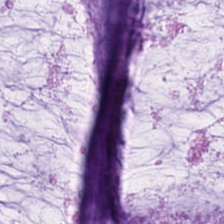H&E patch showing extracellular mucin.
